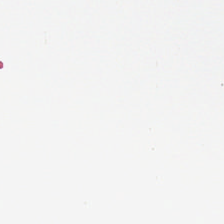H&E stain — This field is background (no tissue).
